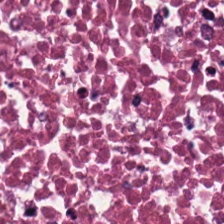Stain: H&E-stained tissue section.
Tissue class: necrotic debris.
